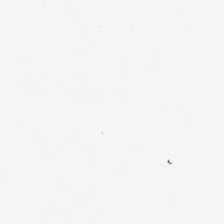FFPE; H&E — Q: What is shown in this field?
A: The field shows empty background.
